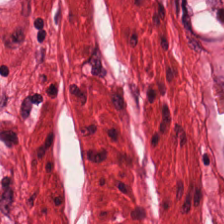Hematoxylin and eosin — Impression — muscularis.
